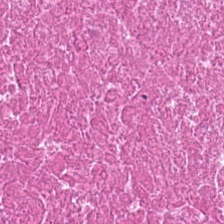H&E-stained tissue section showing necrotic debris.
